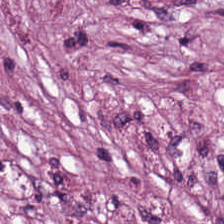Q: What does this patch show?
A: This is cancer-associated stroma.
